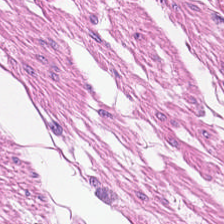Whole-slide-image patch. H&E. FFPE. Tissue type — smooth muscle.
